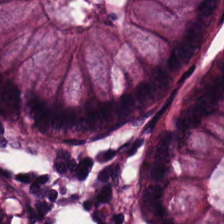Stain: H&E stain.
Tissue: normal colon mucosa.
